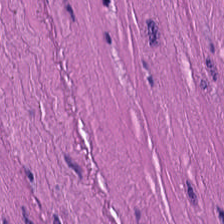H&E.
Showing smooth muscle.
